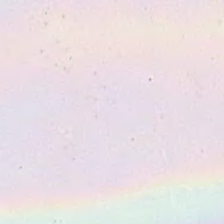Stain: hematoxylin-and-eosin stained section.
Preparation: formalin-fixed paraffin-embedded section.
Content: background.
